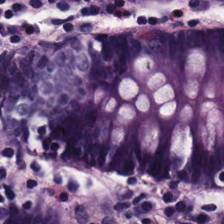H&E — The classification is benign colonic mucosa.
